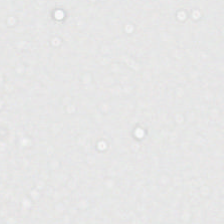Hematoxylin and eosin — Q: Classify this patch.
A: It is background (no tissue).
